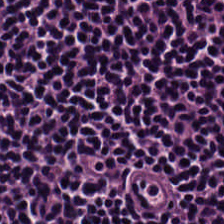Formalin-fixed paraffin-embedded section; H&E-stained tissue section; 0.5 µm per pixel. The classification is lymphocyte aggregate.
